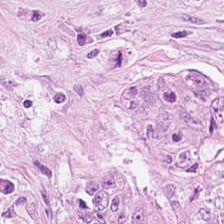Stain: H&E-stained tissue section.
Resolution: 20× equivalent magnification.
Acquisition: WSI patch.
Classification: desmoplastic stroma.
